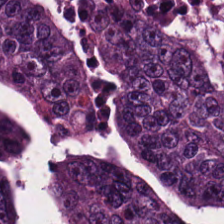H&E — colorectal adenocarcinoma epithelium.
